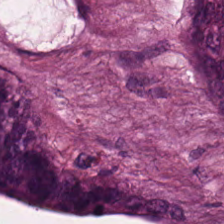Formalin-fixed paraffin-embedded section; H&E-stained tissue section.
Q: What is shown here?
A: The field shows cellular debris.
